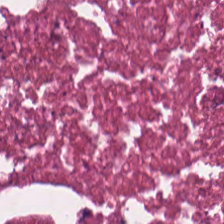0.5 microns per pixel. 224×224 px patch. H&E-stained tissue section. The predominant tissue is necrotic debris.
